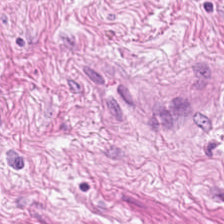Hematoxylin-and-eosin stained section.
Predominantly smooth-muscle tissue.
